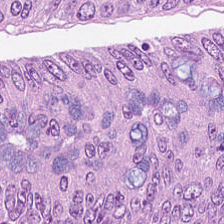H&E.
{"tissue_type": "adenocarcinoma"}
